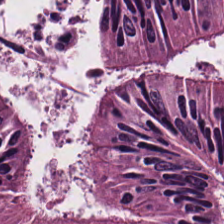H&E-stained tissue section · 224×224 pixel tile. Impression → colorectal adenocarcinoma.
